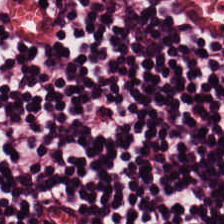Hematoxylin-and-eosin stained section.
The tissue type is lymphoid infiltrate.
